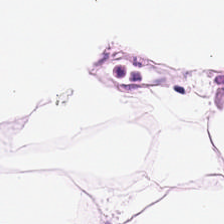Stain: H&E.
Resolution: 20× equivalent magnification.
Predominant tissue: adipose tissue.
